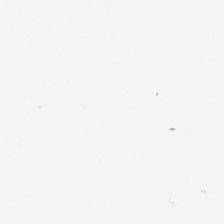Stain: H&E stain.
Acquisition: brightfield.
Classification: no tissue.
